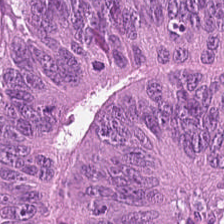H&E-stained section; the field shows colorectal adenocarcinoma.
